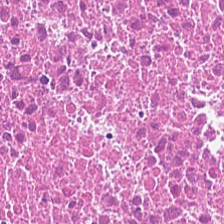FFPE · H&E — Tissue = necrotic debris.
